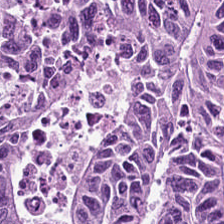H&E.
Classification — malignant epithelium.
